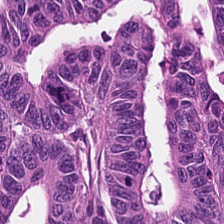FFPE; H&E stain.
Classification: adenocarcinoma.
